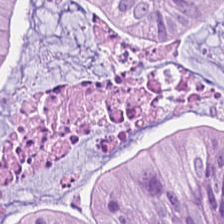H&E-stained tissue section. 224×224 px tile. Formalin-fixed paraffin-embedded section.
Classification: colorectal adenocarcinoma epithelium.
